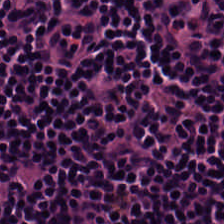H&E — This field is lymphocytes.
